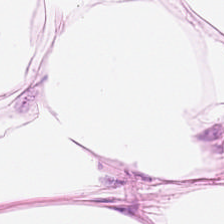Hematoxylin-and-eosin stained section — Q: What tissue is shown?
A: Fat tissue.
